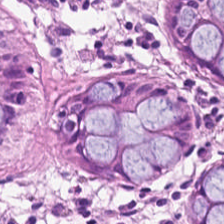Hematoxylin-and-eosin stained section · 0.5 µm/px — Q: What tissue is shown?
A: Normal colonic mucosa.
